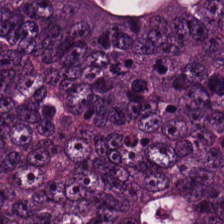H&E. {"tissue_type": "adenocarcinoma"}
